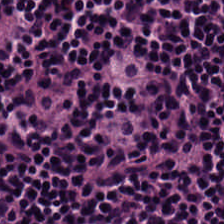Stain: H&E-stained tissue section.
Classification: lymphocyte aggregate.
